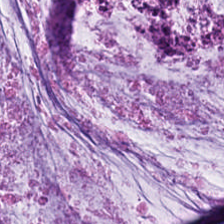Hematoxylin and eosin.
This field is mucin.
